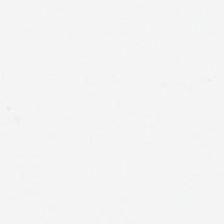Stain: hematoxylin and eosin.
Preparation: formalin-fixed paraffin-embedded section.
Content: empty background.
